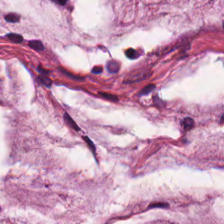224×224 px patch; hematoxylin-and-eosin stained section — Q: What tissue is shown?
A: This is mucin.
